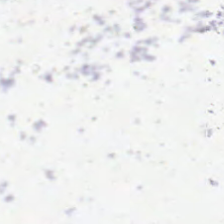0.5 µm/px; hematoxylin-and-eosin stained section — Finding — background (no tissue).
